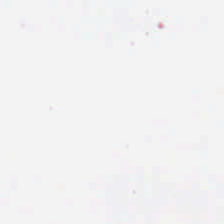Brightfield; H&E. No tissue.
